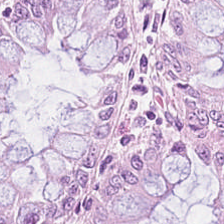Showing normal colon mucosa.
